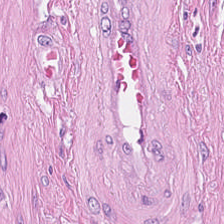H&E — Impression — desmoplastic stroma.
